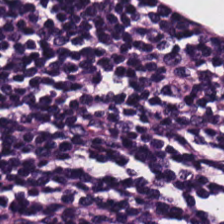Hematoxylin and eosin · 0.5 µm/px · WSI patch — Impression — lymphocytes.
